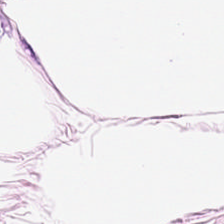H&E patch showing adipocytes.
